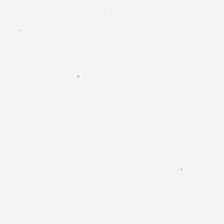Q: What is shown here?
A: Empty background.
